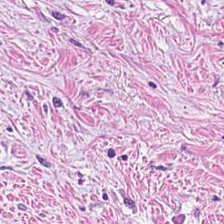Predominantly desmoplastic stroma.
